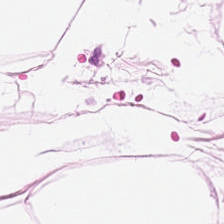This field is fat tissue.
